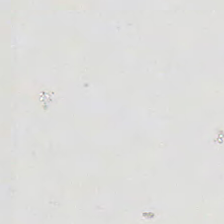Empty field — background.
